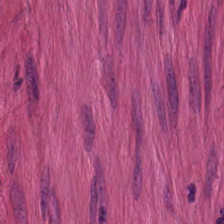The predominant tissue is smooth muscle.
